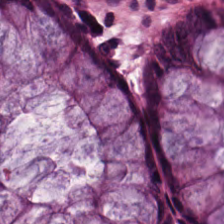Predominant tissue — benign colonic mucosa.
